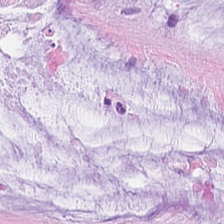H&E stain.
Tissue class: extracellular mucin.
